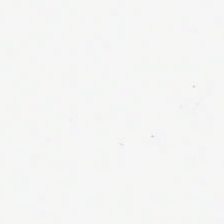Q: What is shown in this field?
A: The field shows background (no tissue).
